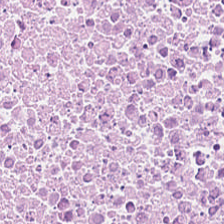224×224 px tile · H&E · 0.5 µm per pixel.
{"tissue_type": "cellular debris"}
